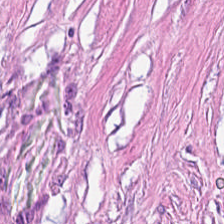H&E — desmoplastic stroma.
